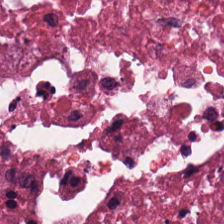H&E-stained tissue section · 0.5 microns per pixel — The predominant tissue is cellular debris.
